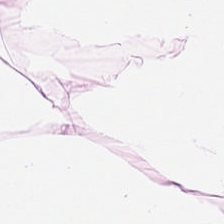The predominant tissue is adipocytes.
